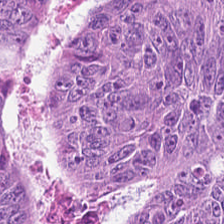H&E-stained tissue section · FFPE tissue section.
Q: Identify the tissue.
A: This is colorectal adenocarcinoma epithelium.
